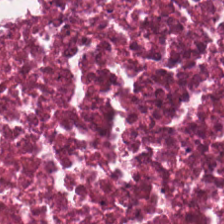H&E. Tissue type: necrotic debris.
